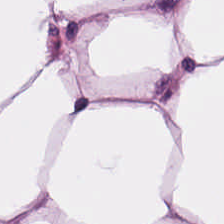Hematoxylin and eosin — The tissue class is adipocytes.
